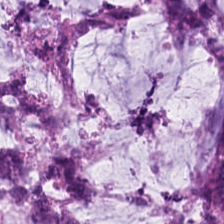224×224 px tile · H&E — Tissue type = mucus.
